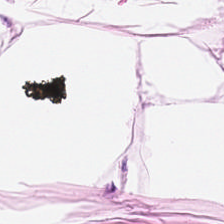Showing adipocytes.
